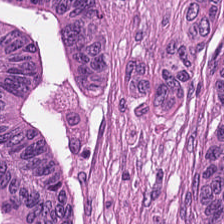Hematoxylin and eosin · 0.5 µm/px. Showing colorectal adenocarcinoma epithelium.
